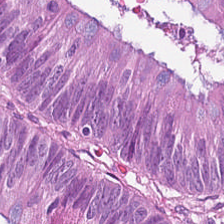H&E.
This field is colorectal adenocarcinoma epithelium.
